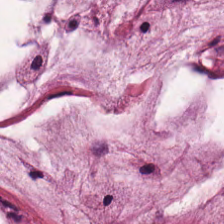FFPE tissue section; hematoxylin and eosin — The tissue here is extracellular mucin.
